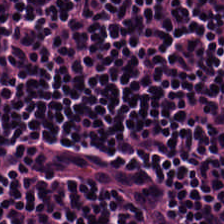H&E.
The tissue here is lymphocytes.
